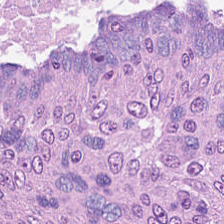Classification = colorectal adenocarcinoma.
